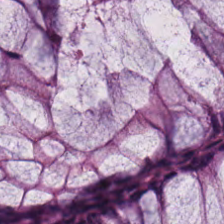Q: What does this patch show?
A: It is normal colon mucosa.
